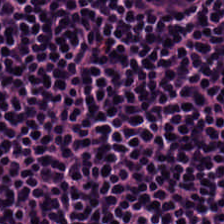0.5 µm/px · WSI patch · H&E — This patch shows lymphocytes.
